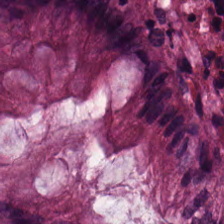Hematoxylin and eosin · 0.5 µm per pixel · formalin-fixed paraffin-embedded section — Tissue class = normal colon mucosa.
